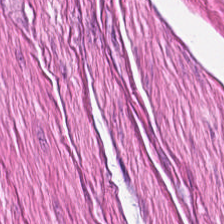Stain: H&E-stained tissue section.
Tissue class: smooth-muscle tissue.
